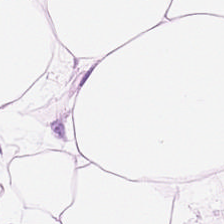Hematoxylin-and-eosin stained section · brightfield — Classification — adipocytes.
